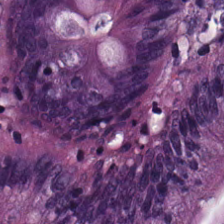H&E.
{"tissue_type": "benign colonic mucosa"}
